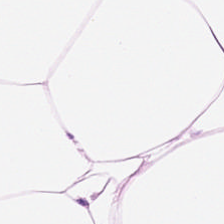Q: What tissue type is shown here?
A: Adipose tissue.
